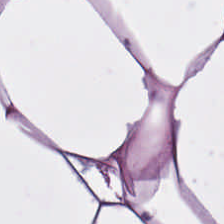The tissue is adipocytes.
